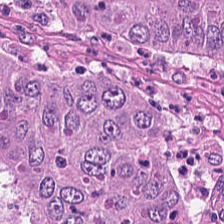H&E stain.
Impression → adenocarcinoma.
